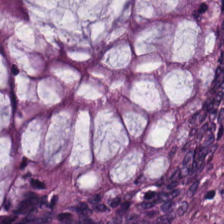H&E-stained tissue section — Q: What is shown here?
A: The field shows normal colon mucosa.
